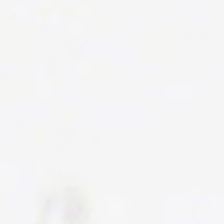224×224 pixel tile · formalin-fixed paraffin-embedded section · hematoxylin and eosin. Finding → empty background.
